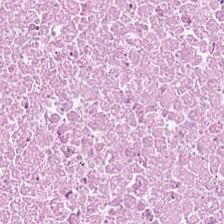Tissue class = debris.
